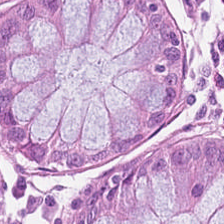H&E stain. Formalin-fixed paraffin-embedded section. The tissue is normal colonic mucosa.
